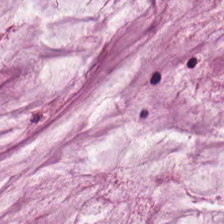Q: What is the predominant tissue type?
A: It is mucus.
